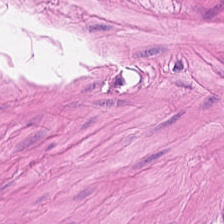H&E stain. WSI patch. FFPE tissue section. The predominant tissue is smooth muscle.
